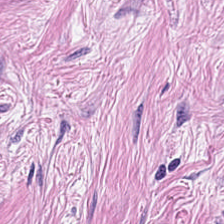H&E-stained tissue section · 0.5 µm/px. This patch shows tumor-associated stroma.
